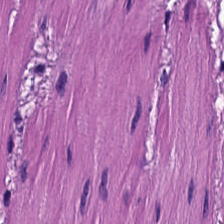0.5 microns per pixel. H&E.
The tissue type is smooth muscle.
